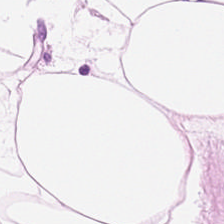This patch shows adipose.
